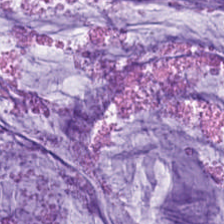H&E-stained tissue section.
The predominant tissue is mucus.
